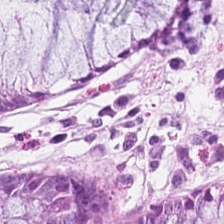Hematoxylin-and-eosin stained section.
Tissue type: benign colonic mucosa.
